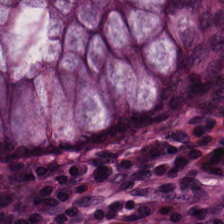Stain: H&E.
Tissue type: benign colonic mucosa.
